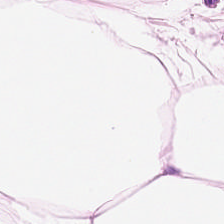Q: What tissue is shown?
A: Adipose tissue.
